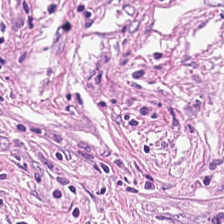H&E-stained tissue section. Tissue — cancer-associated stroma.
